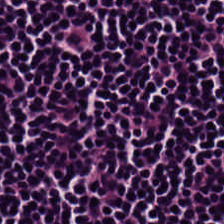H&E.
Classification: lymphoid infiltrate.
